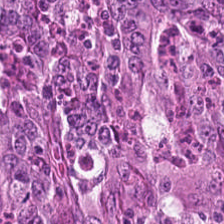Stain: hematoxylin-and-eosin stained section.
Tissue: malignant epithelium.
